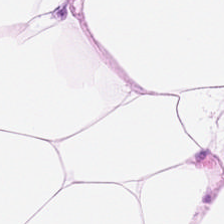Stain: H&E-stained tissue section.
Tissue type: fat tissue.
